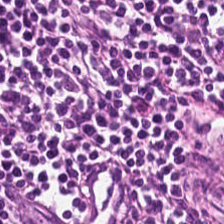Hematoxylin and eosin · 224×224 px patch.
Lymphocyte aggregate.
